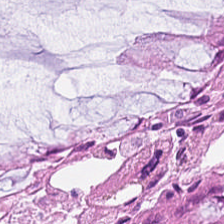H&E stain. 0.5 µm per pixel.
Q: Identify the tissue.
A: This is normal colonic mucosa.
